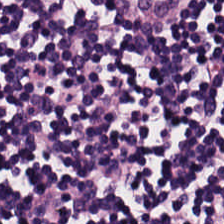Predominantly lymphocytic infiltrate.
